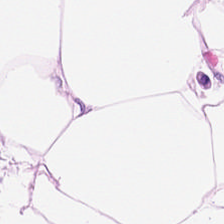Stain: hematoxylin and eosin.
Tissue: fat tissue.
